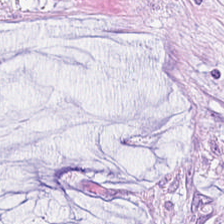Hematoxylin-and-eosin stained section. Brightfield. Q: What type of tissue is this?
A: It is mucus.
